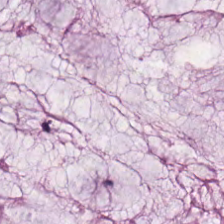Hematoxylin and eosin — Histology → extracellular mucin.
